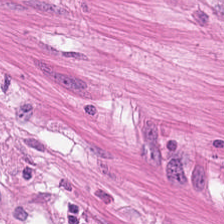H&E stain — Q: What tissue type is shown here?
A: Smooth-muscle tissue.
